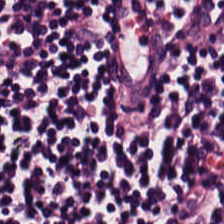224×224 px tile. H&E-stained tissue section. Finding → lymphocyte aggregate.
